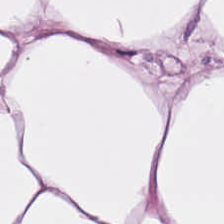H&E · FFPE.
Predominant tissue: adipose.
